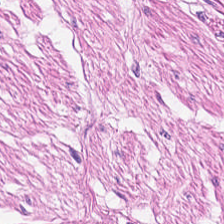H&E stain.
Smooth muscle.
